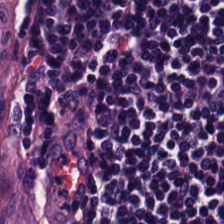H&E-stained tissue section.
Tissue type — lymphocytes.
